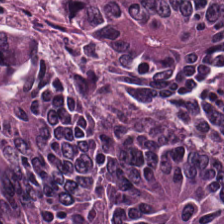Tissue type — colorectal adenocarcinoma.
